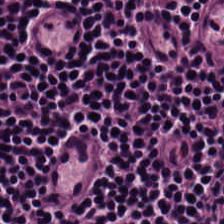H&E stain · 0.5 µm/px.
This patch shows lymphocytes.
